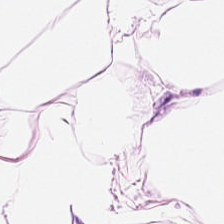Classification — fat tissue.
